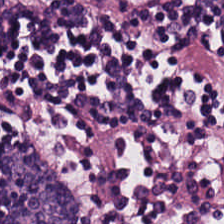H&E — The tissue here is lymphocytic infiltrate.
